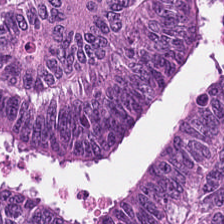This patch shows colorectal adenocarcinoma epithelium.
